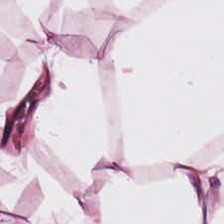Predominantly adipose tissue.
